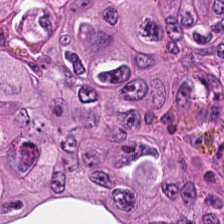H&E-stained tissue section.
This field is adenocarcinoma.
